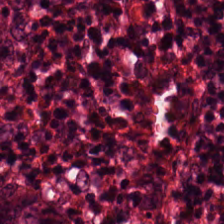H&E — The predominant tissue is non-neoplastic colon mucosa.
